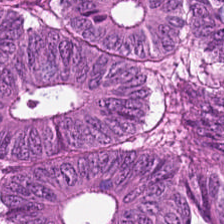H&E-stained tissue section. This field is tumor epithelium.
